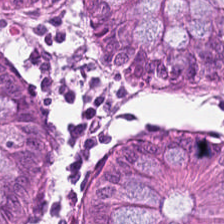Impression → benign colonic mucosa.
